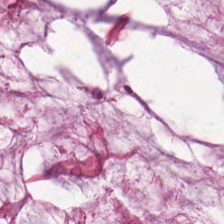Q: What type of tissue is this?
A: It is mucus.
